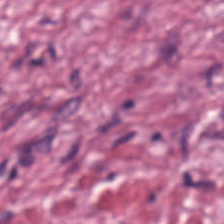H&E stain. Predominant tissue = cancer-associated stroma.
